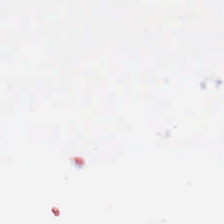H&E — Impression → no tissue.
